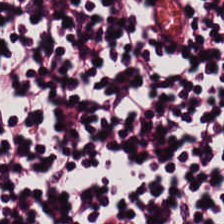Showing lymphocyte aggregate.
